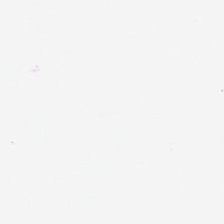WSI patch; hematoxylin and eosin.
Background — no tissue in this field.
